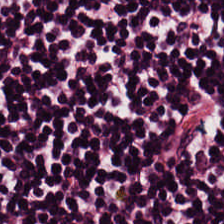H&E-stained tissue section · 0.5 µm per pixel · formalin-fixed paraffin-embedded section — Tissue = lymphoid infiltrate.
